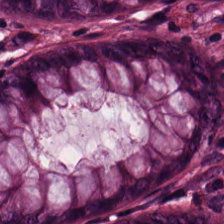Hematoxylin-and-eosin stained section.
Tissue class = benign colonic mucosa.
